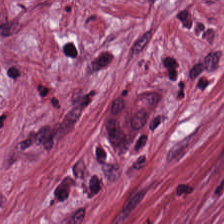Formalin-fixed paraffin-embedded section; 224×224 px tile; hematoxylin-and-eosin stained section. Q: What is the predominant tissue type?
A: Cancer-associated stroma.
